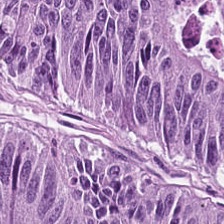Histology — tumor epithelium.
